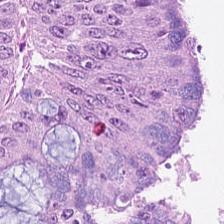224×224 px tile; FFPE; H&E stain — The predominant tissue is adenocarcinoma.
